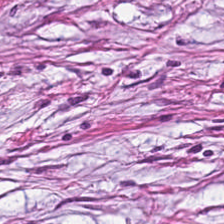Q: What tissue type is shown here?
A: This is cancer-associated stroma.
